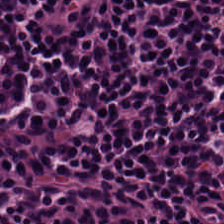H&E stain.
Lymphoid infiltrate.
